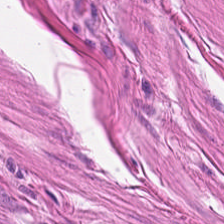Hematoxylin and eosin; 224×224 pixel tile.
Predominant tissue: smooth-muscle tissue.
